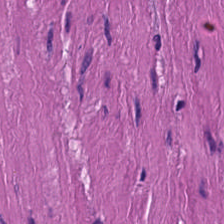FFPE · H&E stain.
Q: What tissue is shown?
A: This is smooth-muscle tissue.
